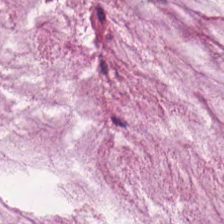H&E stain.
Tissue class: extracellular mucin.
